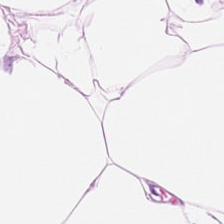H&E — Q: What is shown here?
A: Fat tissue.
